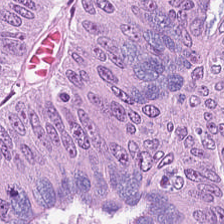H&E stain.
Finding — malignant epithelium.
